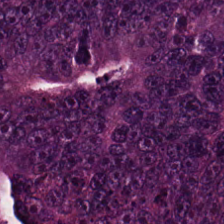20× equivalent magnification. Hematoxylin and eosin. This patch shows malignant epithelium.
